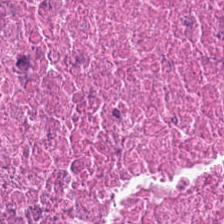224×224 px patch · 20× equivalent magnification · H&E-stained tissue section.
Finding → necrotic debris.
